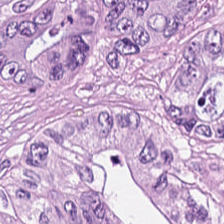H&E stain.
This patch shows adenocarcinoma.
